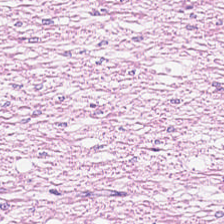H&E-stained tissue section. This patch shows smooth-muscle tissue.
